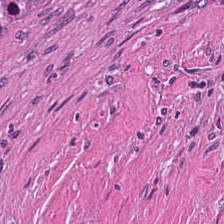H&E patch showing necrotic debris.
